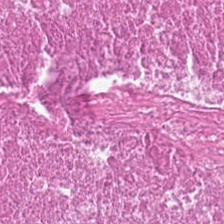H&E-stained tissue section. This patch shows debris.
